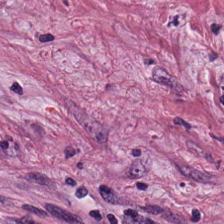Hematoxylin and eosin · whole-slide-image patch. The tissue here is desmoplastic stroma.
